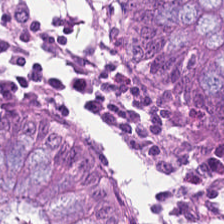Tissue class — normal colon mucosa.
